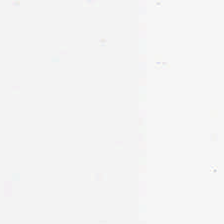Hematoxylin-and-eosin stained section · FFPE · 224×224 pixel tile.
Classification: no tissue.
